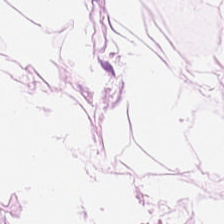Stain: hematoxylin-and-eosin stained section.
Resolution: 20× equivalent magnification.
Tissue type: adipose.
